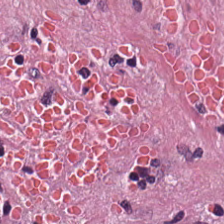H&E-stained tissue section. Tissue = desmoplastic stroma.
